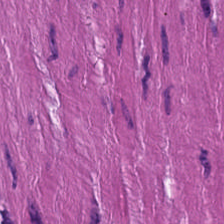H&E-stained tissue section; 20× equivalent magnification; brightfield.
Tissue type = smooth-muscle tissue.
